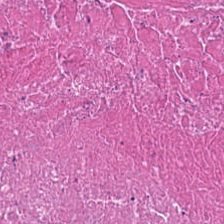Hematoxylin and eosin — Debris.
